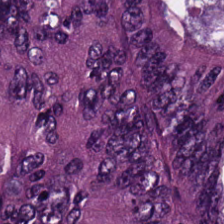H&E stain · formalin-fixed paraffin-embedded section · 0.5 µm/px. Predominantly colorectal adenocarcinoma epithelium.
